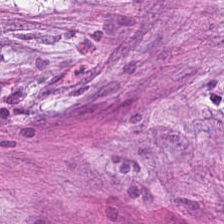Hematoxylin-and-eosin section: desmoplastic stroma.
